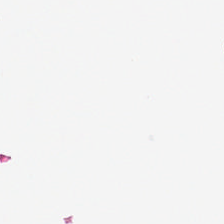Q: Classify this patch.
A: It is empty background.
